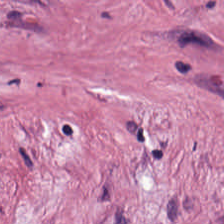H&E — cancer-associated stroma.
